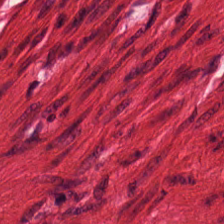H&E stain · 0.5 microns per pixel · 224×224 pixel tile.
Tissue class = smooth muscle.
